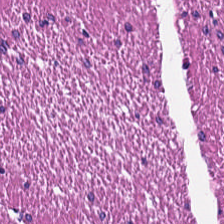224×224 pixel tile · H&E · formalin-fixed paraffin-embedded section — Q: What tissue is shown?
A: Muscularis.
